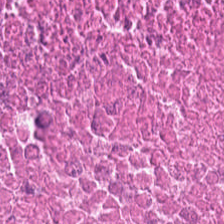H&E-stained tissue section — This patch shows necrotic debris.
